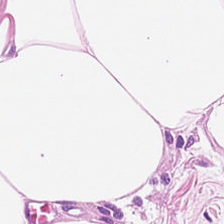H&E-stained section; the field shows adipose tissue.
